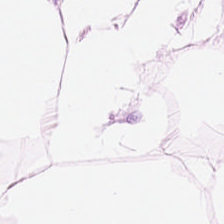H&E. Tissue: adipose tissue.
